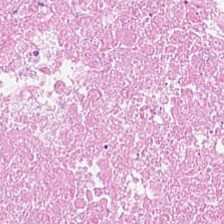Formalin-fixed paraffin-embedded section; whole-slide-image patch; H&E stain.
The predominant tissue is necrotic debris.
